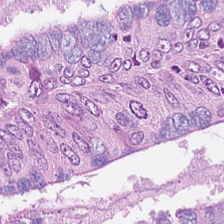Stain: H&E.
Tile size: 224×224 px tile.
Preparation: FFPE tissue section.
Predominant tissue: adenocarcinoma.
